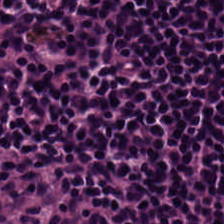Hematoxylin and eosin. Formalin-fixed paraffin-embedded section. {"tissue_type": "lymphoid infiltrate"}
